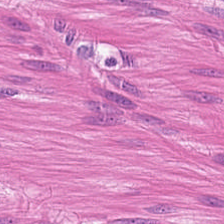Hematoxylin and eosin.
{"tissue_type": "smooth-muscle tissue"}
